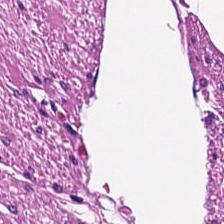H&E — Classification = smooth-muscle tissue.
